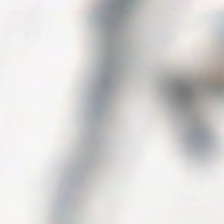{"content": "no tissue"}
